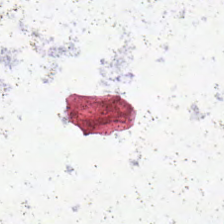WSI patch; 224×224 px tile; hematoxylin and eosin.
Background (no tissue).
